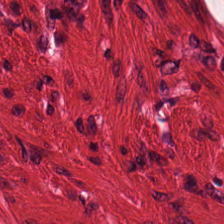Brightfield; H&E stain. Smooth-muscle tissue.
